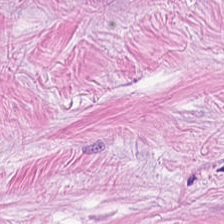H&E. Tissue type = tumor stroma.
